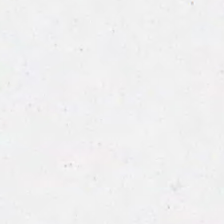Field content — background (no tissue).
